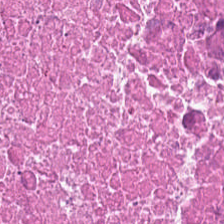0.5 microns per pixel · formalin-fixed paraffin-embedded section · hematoxylin-and-eosin stained section. Finding → necrotic debris.
